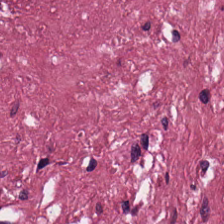H&E · 20× equivalent magnification. Classification — desmoplastic stroma.
